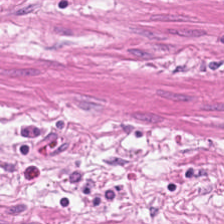Stain: hematoxylin-and-eosin stained section.
Preparation: FFPE.
Resolution: 0.5 µm per pixel.
Tissue: smooth-muscle tissue.
